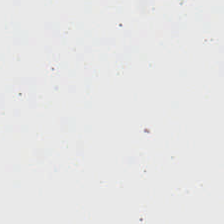This patch shows background.
